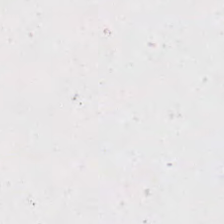Brightfield microscopy. 20× equivalent magnification. Hematoxylin and eosin — Q: What is shown in this field?
A: Empty background.
